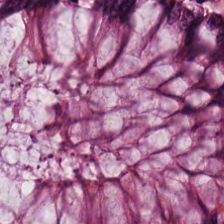H&E.
Predominantly non-neoplastic colon mucosa.
